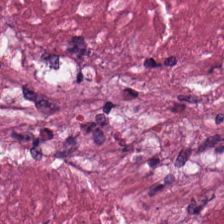Hematoxylin and eosin — The tissue here is debris.
